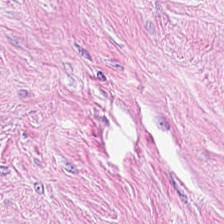H&E-stained tissue section; 0.5 µm per pixel.
Tumor stroma.
